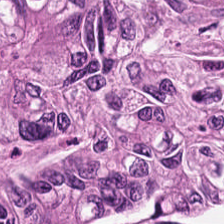H&E. 0.5 µm/px.
Predominantly colorectal adenocarcinoma.
